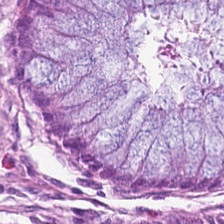FFPE · hematoxylin and eosin · whole-slide-image patch. The predominant tissue is normal colonic mucosa.
